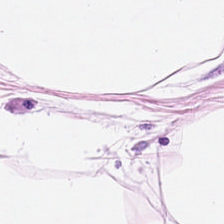Brightfield · H&E — Q: What type of tissue is this?
A: The field shows adipocytes.
